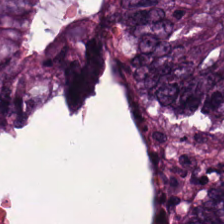Hematoxylin-and-eosin stained section · 224×224 pixel tile. Finding — adenocarcinoma.
